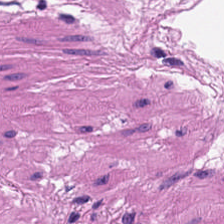Hematoxylin and eosin · FFPE. Finding → smooth-muscle tissue.
